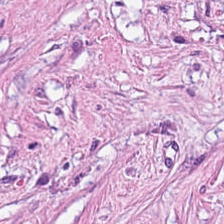Q: Identify the tissue.
A: It is tumor stroma.
